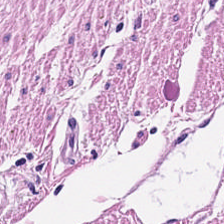Hematoxylin-and-eosin stained section. Impression — smooth muscle.
